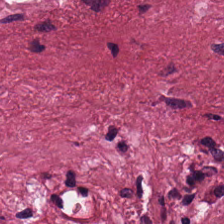Q: What is shown in this field?
A: This is cancer-associated stroma.
